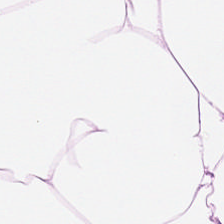0.5 µm/px; H&E; WSI patch. Q: What tissue type is shown here?
A: The field shows adipocytes.
